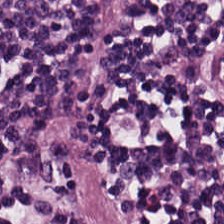H&E. Q: What is shown in this field?
A: It is lymphocytic infiltrate.
